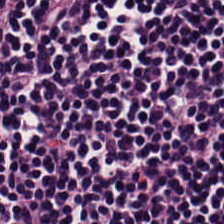H&E.
{"tissue_type": "lymphocytes"}
